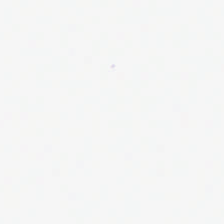224×224 pixel tile · H&E.
The content is background (no tissue).
